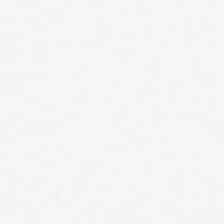224×224 pixel tile · 0.5 microns per pixel · hematoxylin and eosin — Classification: background (no tissue).
